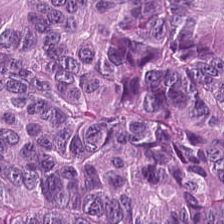Hematoxylin-and-eosin stained section — Tissue class = adenocarcinoma.
